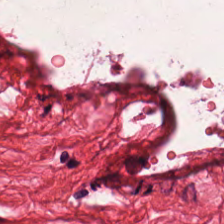Tissue: muscularis.
